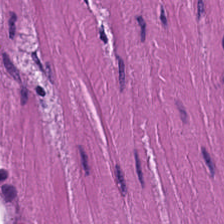H&E stain — Classification: smooth-muscle tissue.
